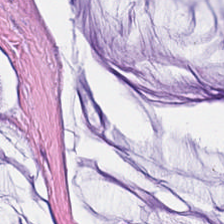Hematoxylin-and-eosin stained section.
Impression — mucus.
